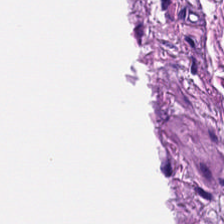20× equivalent magnification. H&E. Q: Classify this patch.
A: The field shows smooth-muscle tissue.
